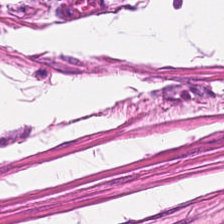This field is muscularis.
